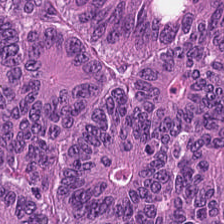0.5 µm per pixel · brightfield · H&E-stained tissue section. The predominant tissue is colorectal adenocarcinoma.
